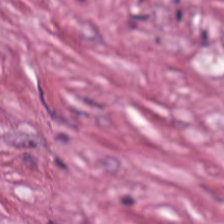H&E-stained tissue section.
The predominant tissue is desmoplastic stroma.
